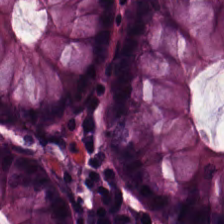H&E-stained tissue section showing benign colonic mucosa.
